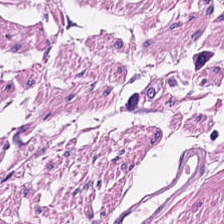H&E-stained tissue section. Q: What is shown in this field?
A: This is smooth-muscle tissue.
